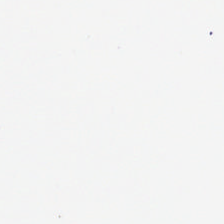Whole-slide-image patch; H&E-stained tissue section; 20× equivalent magnification — No tissue present; background only.
